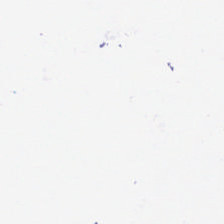Hematoxylin and eosin; FFPE tissue section. This patch shows background (no tissue).
